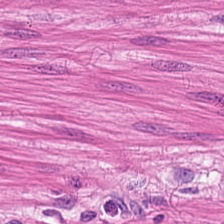Tissue type = smooth muscle.
